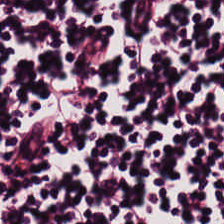Hematoxylin and eosin · FFPE tissue section — This patch shows lymphoid infiltrate.
